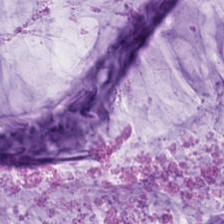Stain: H&E stain.
Predominant tissue: mucin.
